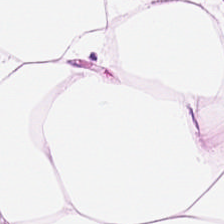WSI patch; FFPE; hematoxylin and eosin — {"tissue_type": "adipose tissue"}
